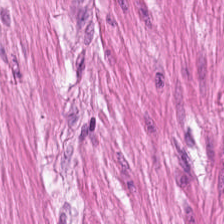H&E-stained tissue section.
This field is smooth muscle.
